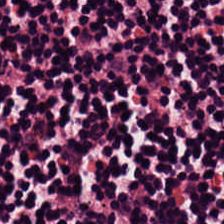Showing lymphocytes.
